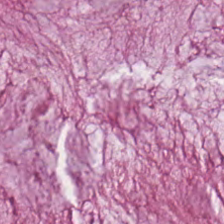Stain: hematoxylin and eosin.
Tissue class: extracellular mucin.
